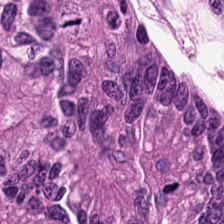Tissue: colorectal adenocarcinoma.
